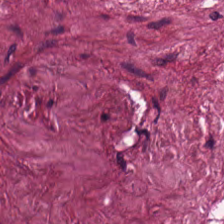Stain: hematoxylin and eosin.
Tissue type: tumor stroma.
